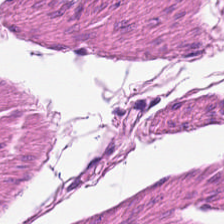Hematoxylin and eosin. 0.5 microns per pixel. Brightfield — Impression → smooth-muscle tissue.
